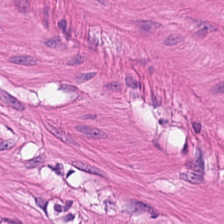Stain: hematoxylin and eosin.
Acquisition: brightfield microscopy.
Preparation: FFPE.
Predominant tissue: muscularis.
